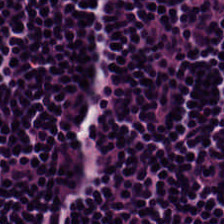Impression — lymphocytes.
